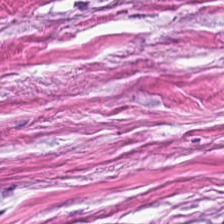0.5 microns per pixel; brightfield microscopy; H&E-stained tissue section. Classification: tumor stroma.
